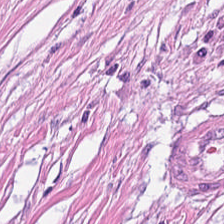H&E stain.
Impression — tumor-associated stroma.
